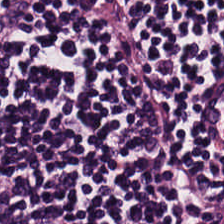H&E-stained tissue section — Showing lymphocytes.
